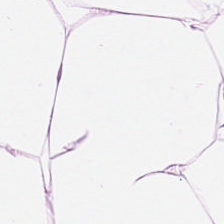Hematoxylin and eosin — The predominant tissue is adipose.
